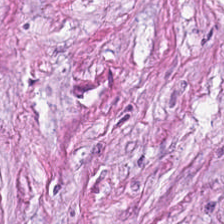H&E stain. The tissue is desmoplastic stroma.
